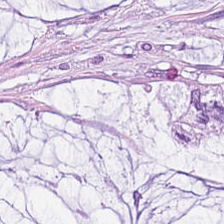Hematoxylin and eosin. Q: What is shown here?
A: It is mucin.
